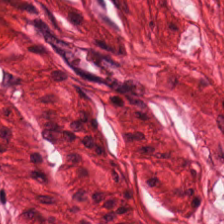H&E — Q: What type of tissue is this?
A: The field shows smooth-muscle tissue.
